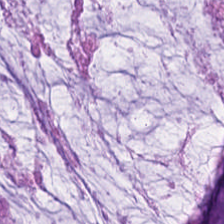20× equivalent magnification; hematoxylin-and-eosin stained section — Mucus.
